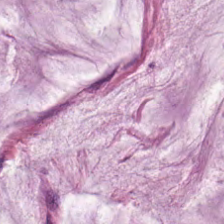Hematoxylin and eosin · FFPE — The tissue here is mucus.
